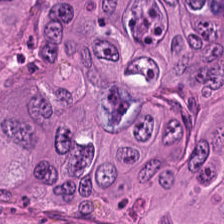H&E.
Tissue class: tumor epithelium.
